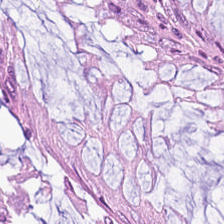The predominant tissue is normal colon mucosa.
